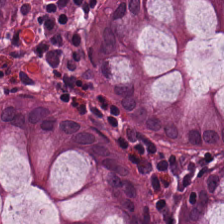Hematoxylin and eosin. Brightfield. 224×224 px tile — The tissue is normal colon mucosa.
